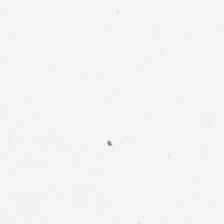H&E-stained tissue section. Empty field — no tissue.
